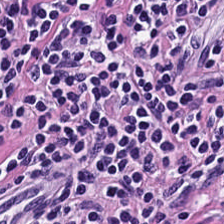Brightfield. H&E stain. Predominantly lymphocytes.
